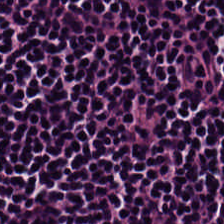Brightfield; H&E. Q: Identify the tissue.
A: Lymphocytes.
